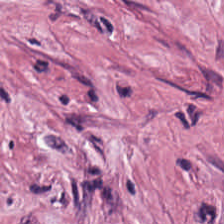H&E stain · FFPE. Q: What is shown in this field?
A: It is tumor stroma.
